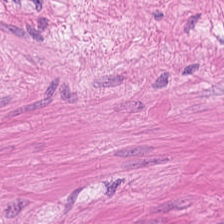Brightfield · hematoxylin and eosin · 224×224 px patch. Finding — smooth muscle.
